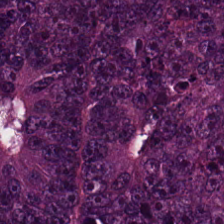Hematoxylin-and-eosin stained section · whole-slide-image patch. The tissue here is colorectal adenocarcinoma epithelium.
